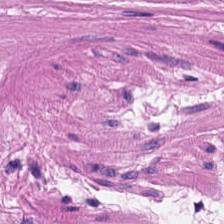Hematoxylin and eosin.
{"tissue_type": "smooth muscle"}
